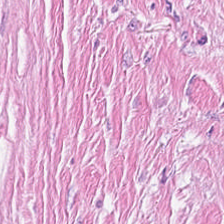H&E.
Predominantly tumor-associated stroma.
